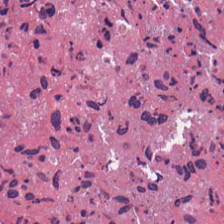0.5 µm/px. H&E stain.
The tissue here is debris.
